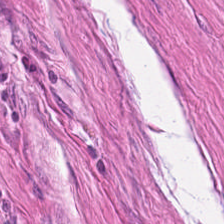H&E stain. 20× equivalent magnification. Tissue class — muscularis.
